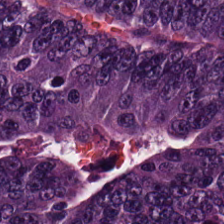H&E stain · FFPE.
Showing malignant epithelium.
